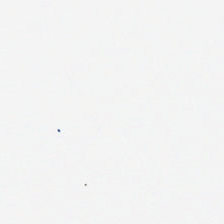This field is background (no tissue).
